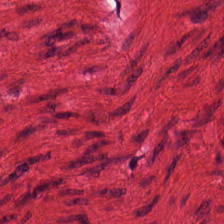H&E. Q: What does this patch show?
A: The field shows smooth-muscle tissue.
